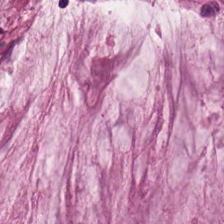{"tissue_type": "mucin"}
